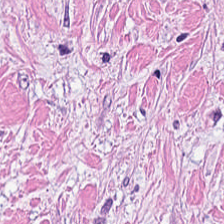224×224 px tile. FFPE. Hematoxylin-and-eosin stained section — Impression — desmoplastic stroma.
